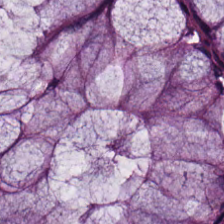H&E-stained tissue section.
Predominant tissue — non-neoplastic colon mucosa.
